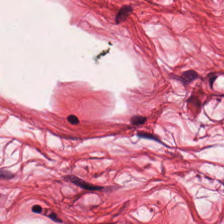Stain: hematoxylin-and-eosin stained section.
Tissue: muscularis.
